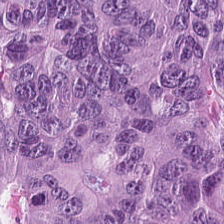Hematoxylin-and-eosin stained section. Q: What is shown here?
A: This is malignant epithelium.
